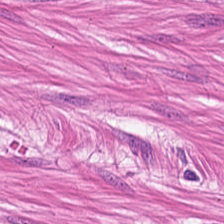Classification = muscularis.
